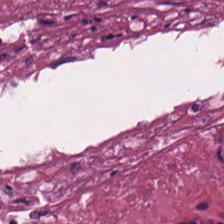Hematoxylin and eosin · formalin-fixed paraffin-embedded section — Q: What type of tissue is this?
A: It is debris.
